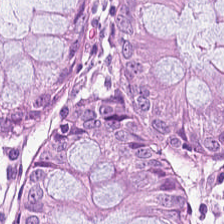Hematoxylin-and-eosin stained section — The tissue here is normal colon mucosa.
